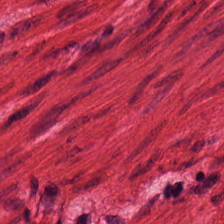H&E stain. WSI patch — Showing smooth-muscle tissue.
